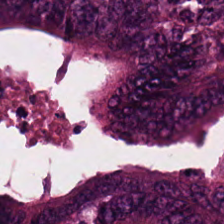H&E-stained tissue section.
Tissue class: tumor epithelium.
